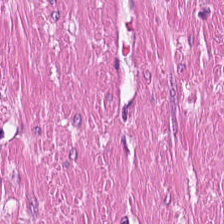H&E stain.
Tissue: smooth muscle.
